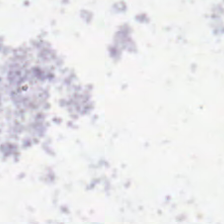H&E-stained tissue section. Content — no tissue.
